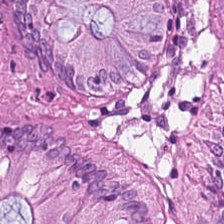This field is normal colon mucosa.
